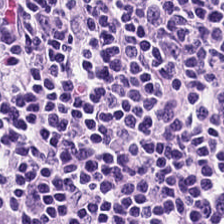H&E-stained tissue section showing lymphocytic infiltrate.
